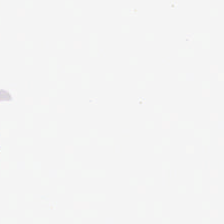H&E stain.
Background — no tissue in this field.
